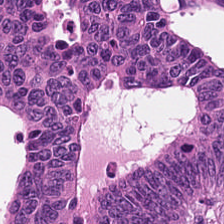Hematoxylin and eosin · 224×224 px patch.
Predominant tissue: colorectal adenocarcinoma epithelium.
